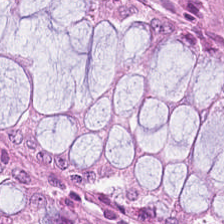{"tissue_type": "normal colonic mucosa"}
